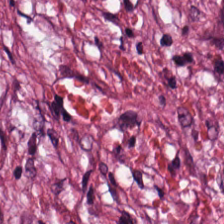0.5 µm per pixel. H&E-stained tissue section.
The tissue here is tumor-associated stroma.
